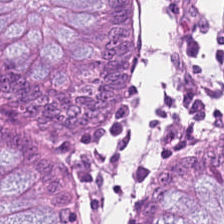Finding → benign colonic mucosa.
